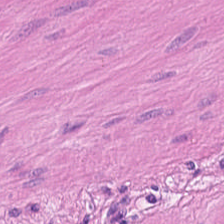Stain: H&E-stained tissue section.
Preparation: formalin-fixed paraffin-embedded section.
Tissue class: smooth muscle.
